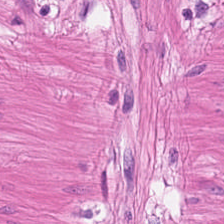Hematoxylin-and-eosin stained section. Predominant tissue = muscularis.
